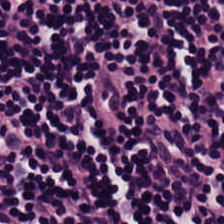Stain: H&E stain.
Resolution: 0.5 µm per pixel.
Tissue: lymphocytes.
